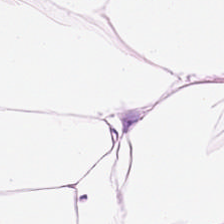H&E. 224×224 px patch. Histology → adipose.
